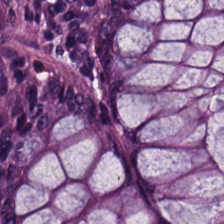WSI patch · H&E-stained tissue section. Showing normal colon mucosa.
